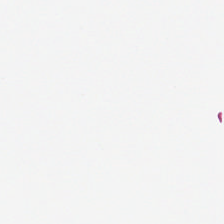Hematoxylin-and-eosin stained section.
This patch shows empty background.
